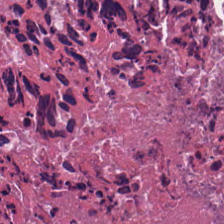{"tissue_type": "debris"}
